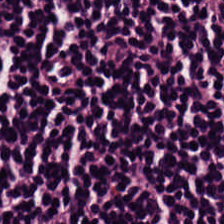0.5 µm per pixel; hematoxylin-and-eosin stained section; formalin-fixed paraffin-embedded section — {"tissue_type": "lymphocyte aggregate"}
